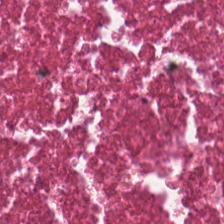H&E-stained section; the field shows necrotic debris.
